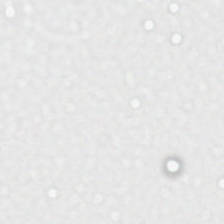20× equivalent magnification · brightfield · hematoxylin-and-eosin stained section.
{"content": "background (no tissue)"}
